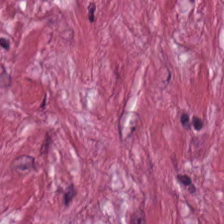H&E stain — This field is tumor-associated stroma.
